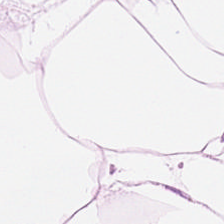The tissue here is adipocytes.
